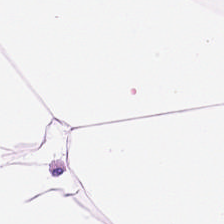H&E-stained tissue section; formalin-fixed paraffin-embedded section — Impression → fat tissue.
